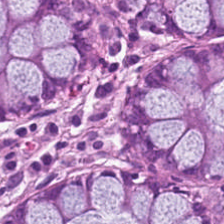Q: What tissue type is shown here?
A: The field shows non-neoplastic colon mucosa.
